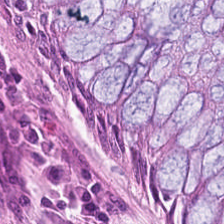Stain: hematoxylin-and-eosin stained section.
Resolution: 20× equivalent magnification.
Tissue class: non-neoplastic colon mucosa.
